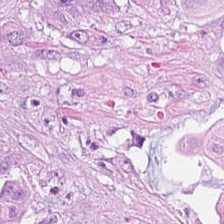Predominantly tumor epithelium.
